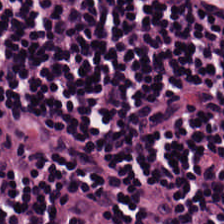Stain: H&E.
Acquisition: whole-slide-image patch.
Classification: lymphocytes.
